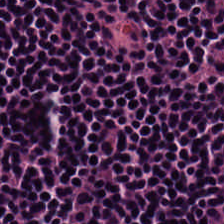H&E patch showing lymphoid infiltrate.
